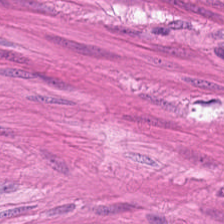H&E · 224×224 px tile. Tissue — smooth muscle.
